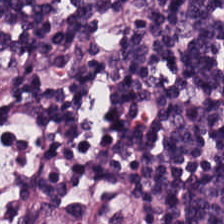H&E stain; 0.5 µm/px.
Finding → lymphocytic infiltrate.
